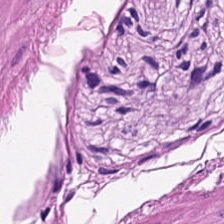H&E — smooth-muscle tissue.
